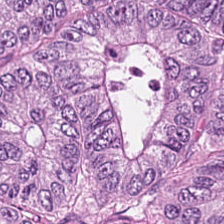Hematoxylin-and-eosin stained section. 224×224 px patch.
Predominantly malignant epithelium.
